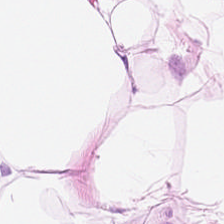H&E-stained tissue section — This patch shows adipocytes.
